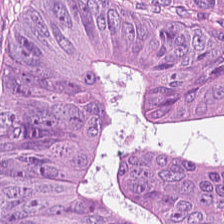Hematoxylin-and-eosin stained section.
Adenocarcinoma.
